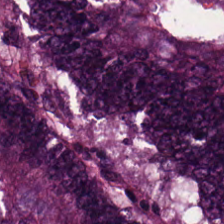H&E. Brightfield microscopy. Tissue type: colorectal adenocarcinoma.
